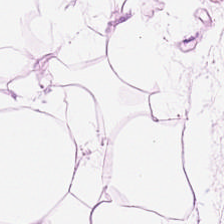Stain: H&E-stained tissue section.
Preparation: FFPE.
Tile size: 224×224 px tile.
Predominant tissue: adipose.
